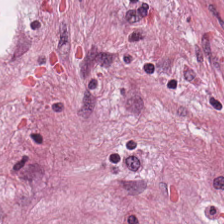H&E. Brightfield.
Q: What does this patch show?
A: The field shows tumor-associated stroma.
